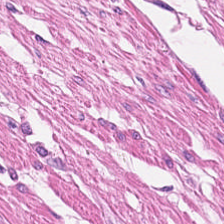Brightfield; 0.5 µm/px; H&E. Showing smooth-muscle tissue.
